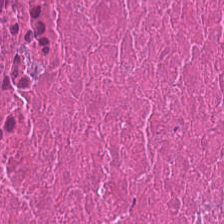Hematoxylin and eosin.
Classification — necrotic debris.
